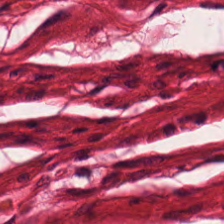Q: What type of tissue is this?
A: It is muscularis.
